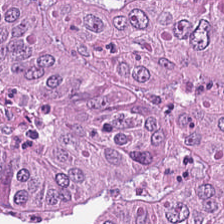H&E — Adenocarcinoma.
